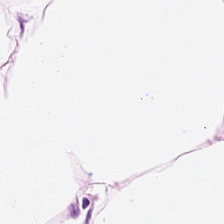H&E. Predominantly adipose tissue.
